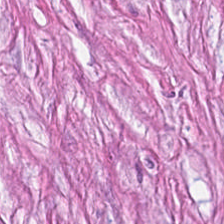H&E-stained tissue section. 224×224 px patch.
This patch shows tumor stroma.
